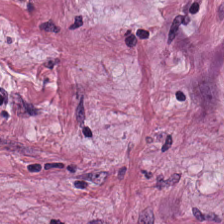H&E.
Q: Identify the tissue.
A: It is tumor stroma.
